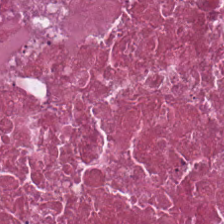WSI patch. Hematoxylin and eosin. 224×224 pixel tile.
This field is necrotic debris.
